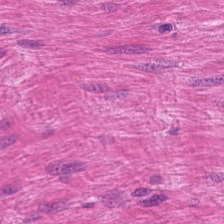224×224 pixel tile · formalin-fixed paraffin-embedded section · H&E. Showing muscularis.
